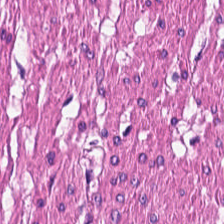Hematoxylin and eosin.
Classification = smooth muscle.
